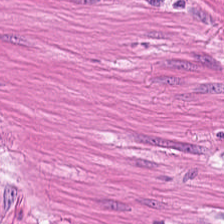H&E; brightfield microscopy; FFPE tissue section. Q: What tissue type is shown here?
A: This is smooth-muscle tissue.
